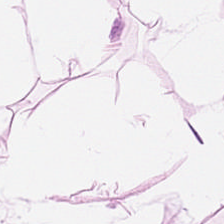Classification: adipose tissue.
